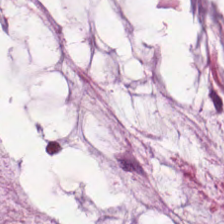This patch shows extracellular mucin.
